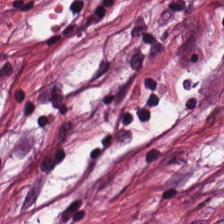This patch shows cancer-associated stroma.
